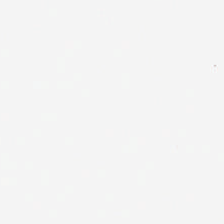H&E-stained tissue section.
No tissue present; background only.
